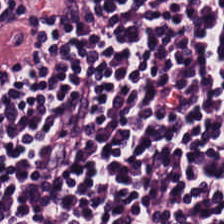H&E-stained tissue section.
Classification: lymphocyte aggregate.
